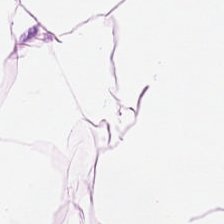Stain: H&E-stained tissue section.
Preparation: FFPE tissue section.
Classification: adipocytes.
